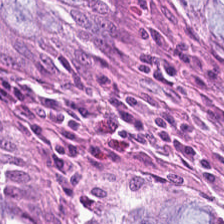H&E stain · FFPE — Predominantly normal colonic mucosa.
